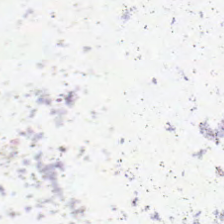Classification: empty background.
